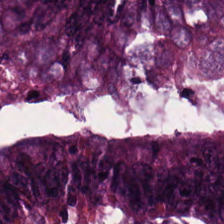Hematoxylin and eosin. This field is malignant epithelium.
